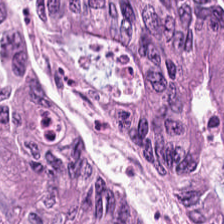H&E-stained tissue section; 224×224 px tile — Finding — malignant epithelium.
